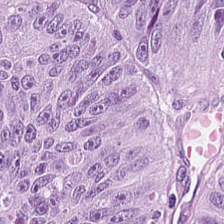Hematoxylin and eosin.
This field is malignant epithelium.
